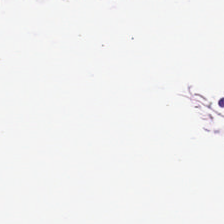Stain: H&E.
Classification: adipocytes.
